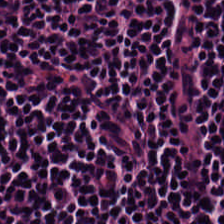Whole-slide-image patch · hematoxylin-and-eosin stained section. Histology — lymphocytic infiltrate.
